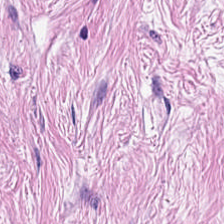Stain: hematoxylin and eosin.
Tissue type: cancer-associated stroma.
